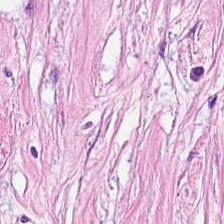FFPE · hematoxylin and eosin. The tissue type is tumor stroma.
